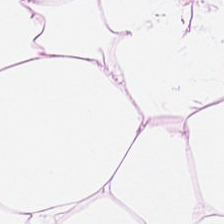Hematoxylin and eosin; 20× equivalent magnification; brightfield — {"tissue_type": "fat tissue"}
